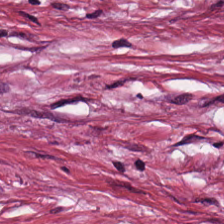H&E stain · 224×224 px tile.
Tumor stroma.
